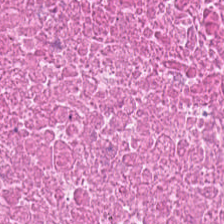H&E-stained tissue section. 224×224 px tile. Necrotic debris.
